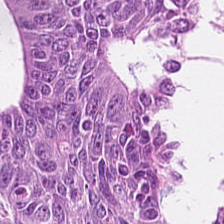Hematoxylin-and-eosin stained section · 0.5 µm per pixel.
Malignant epithelium.
